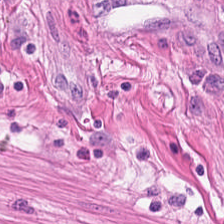Tissue class — smooth muscle.
